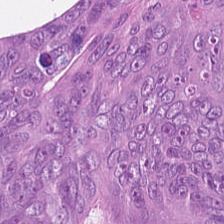Hematoxylin-and-eosin stained section. This patch shows colorectal adenocarcinoma epithelium.
